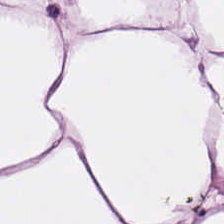Showing adipocytes.
